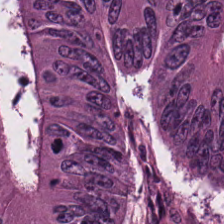Classification — tumor epithelium.
